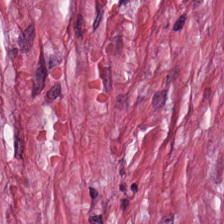The tissue type is desmoplastic stroma.
